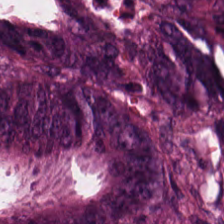WSI patch; H&E-stained tissue section. Showing adenocarcinoma.
